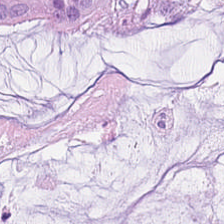H&E stain. Whole-slide-image patch. 224×224 px patch. Impression → mucin.
